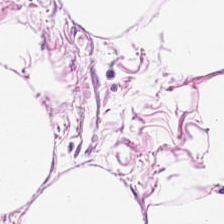H&E-stained tissue section · brightfield microscopy · 224×224 px patch. Fat tissue.
